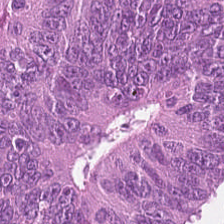H&E-stained tissue section. Q: What tissue type is shown here?
A: Malignant epithelium.
